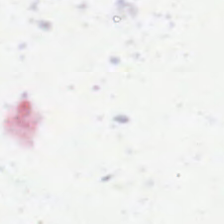20× equivalent magnification · whole-slide-image patch · H&E-stained tissue section — Q: Classify this patch.
A: This is background (no tissue).
